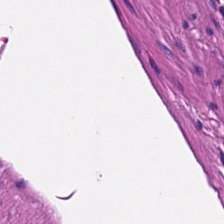Hematoxylin-and-eosin stained section.
Tissue type: smooth-muscle tissue.
